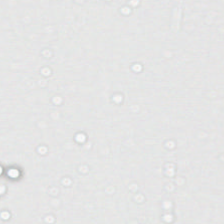Hematoxylin and eosin.
Field content: no tissue.
